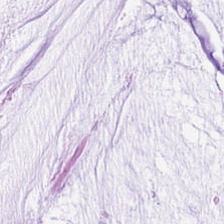Stain: hematoxylin and eosin.
Tissue type: extracellular mucin.
